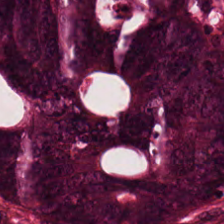Q: What tissue is shown?
A: This is tumor epithelium.
